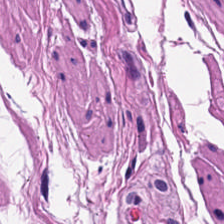Hematoxylin-and-eosin section: smooth-muscle tissue.
